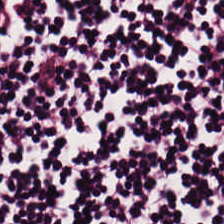H&E stain. This field is lymphocytic infiltrate.
